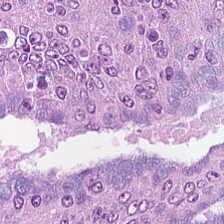Impression — adenocarcinoma.
